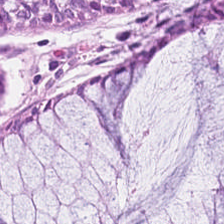Formalin-fixed paraffin-embedded section · H&E stain. Showing normal colon mucosa.
